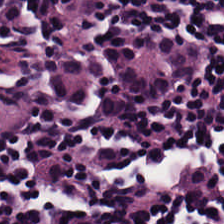Hematoxylin-and-eosin stained section; 0.5 µm/px. Predominant tissue: lymphoid infiltrate.
